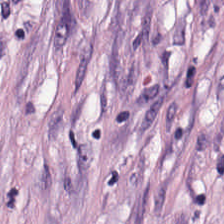Hematoxylin-and-eosin stained section. The predominant tissue is tumor stroma.
